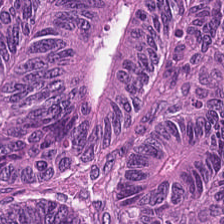H&E-stained tissue section.
Histology — adenocarcinoma.
